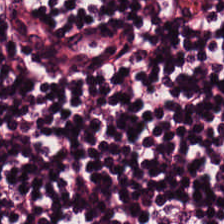H&E-stained tissue section. 0.5 µm per pixel.
Predominant tissue: lymphocytes.
